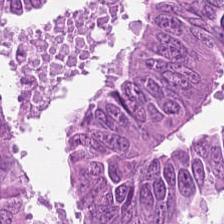Hematoxylin and eosin. Q: What type of tissue is this?
A: The field shows colorectal adenocarcinoma epithelium.
